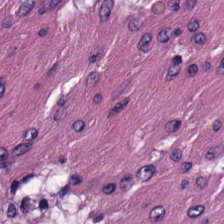Showing smooth-muscle tissue.
